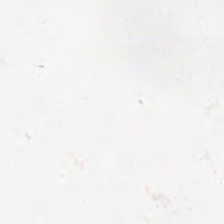H&E. Empty field — background (no tissue).
